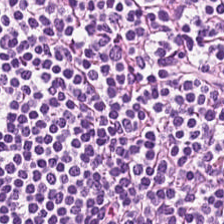Whole-slide-image patch. H&E.
Tissue type = lymphocyte aggregate.
